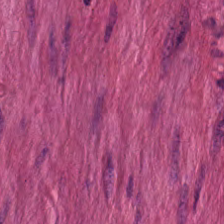Hematoxylin and eosin; 224×224 px tile — Classification — smooth muscle.
